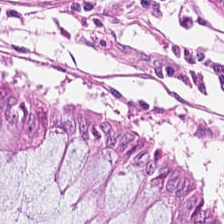H&E — The tissue here is normal colon mucosa.
